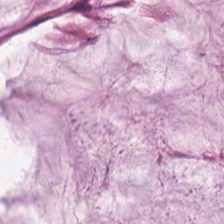0.5 microns per pixel; hematoxylin-and-eosin stained section. The tissue type is mucus.
